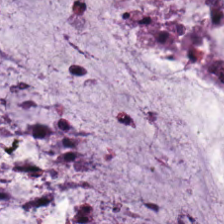H&E-stained tissue section — The tissue here is mucin.
